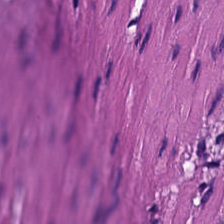Hematoxylin and eosin.
Finding — smooth-muscle tissue.
